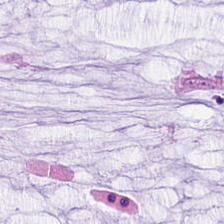Hematoxylin-and-eosin stained section. WSI patch — Q: What is shown in this field?
A: This is mucin.
